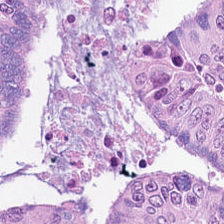Hematoxylin and eosin; 224×224 px patch; brightfield. Predominant tissue — colorectal adenocarcinoma epithelium.
